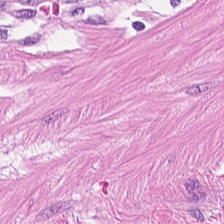H&E-stained tissue section. Showing smooth-muscle tissue.
